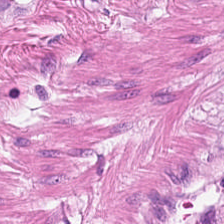Hematoxylin and eosin.
Predominantly smooth-muscle tissue.
